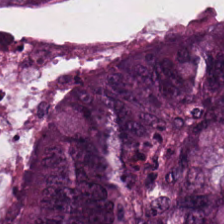Brightfield microscopy; formalin-fixed paraffin-embedded section; H&E stain — {"tissue_type": "malignant epithelium"}
